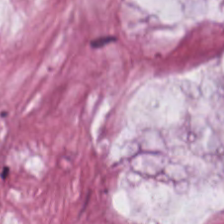FFPE tissue section · H&E stain.
Mucin.
